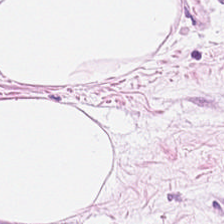Q: Classify this patch.
A: The field shows adipocytes.
